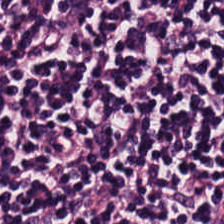The tissue type is lymphocytic infiltrate.
